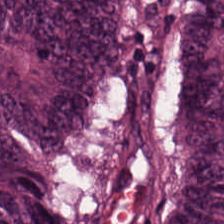H&E-stained tissue section — Q: Classify this patch.
A: Malignant epithelium.
